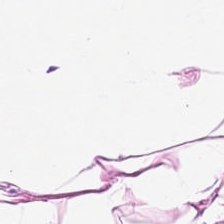Whole-slide-image patch. H&E. FFPE — Fat tissue.
